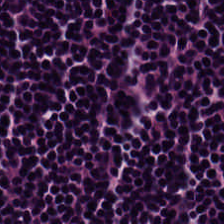H&E-stained tissue section — This patch shows lymphocyte aggregate.
